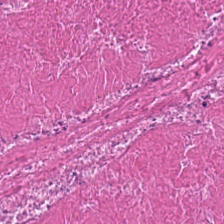Hematoxylin-and-eosin stained section — Tissue type — debris.
